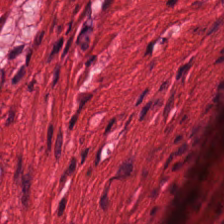Hematoxylin-and-eosin stained section. Showing smooth-muscle tissue.
